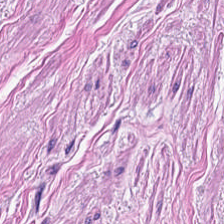H&E-stained tissue section · 0.5 µm per pixel — The classification is smooth muscle.
